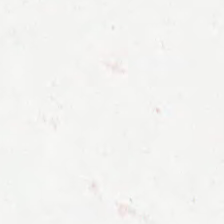Histology — empty background.
